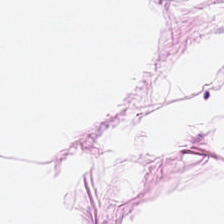Tissue class = adipose tissue.
